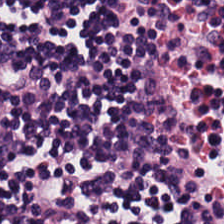H&E stain — Q: What is the predominant tissue type?
A: Lymphoid infiltrate.
